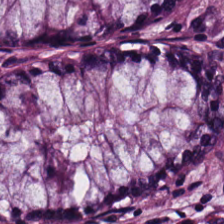Stain: H&E-stained tissue section.
Tissue class: normal colon mucosa.
